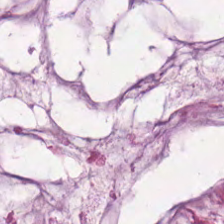H&E stain; whole-slide-image patch — The tissue here is mucus.
